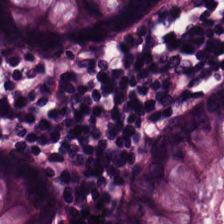H&E stain. {"tissue_type": "normal colon mucosa"}
